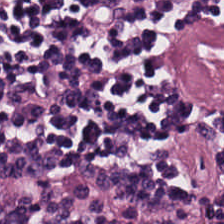Stain: H&E-stained tissue section.
Acquisition: WSI patch.
Resolution: 0.5 µm per pixel.
Tissue: lymphoid infiltrate.
